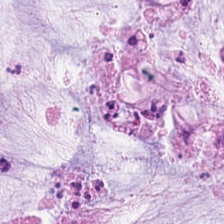H&E-stained tissue section — The tissue is mucus.
